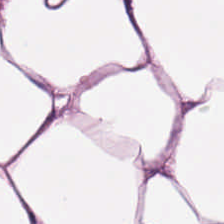H&E stain — The classification is adipose.
